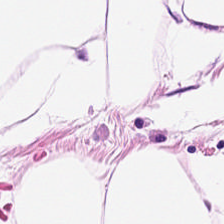Hematoxylin-and-eosin stained section. Showing adipose tissue.
